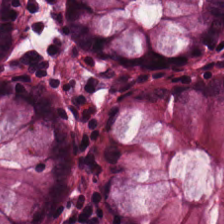Hematoxylin and eosin. 224×224 pixel tile. The classification is non-neoplastic colon mucosa.
